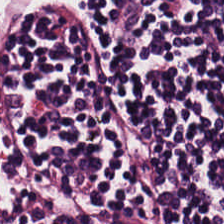The predominant tissue is lymphoid infiltrate.
